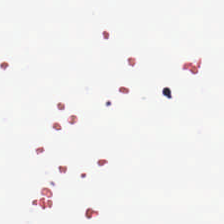0.5 µm per pixel; hematoxylin and eosin; 224×224 px patch — Empty background.
